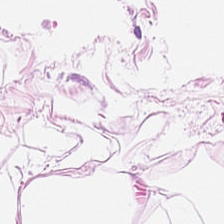FFPE · 224×224 pixel tile · hematoxylin-and-eosin stained section.
{"tissue_type": "fat tissue"}
